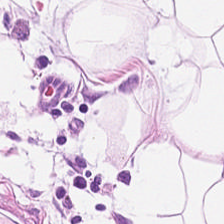Hematoxylin and eosin.
Tissue class — fat tissue.
